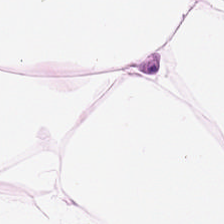FFPE tissue section. Hematoxylin-and-eosin stained section. The tissue class is adipocytes.
